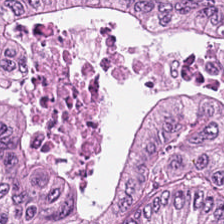Predominant tissue = tumor epithelium.
